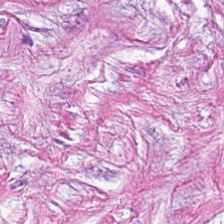WSI patch. Hematoxylin and eosin.
Showing tumor-associated stroma.
